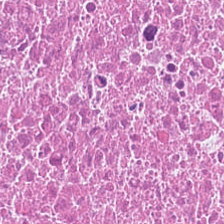H&E.
Predominantly cellular debris.
